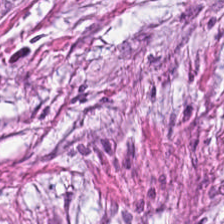H&E-stained tissue section. Q: What tissue is shown?
A: Cancer-associated stroma.
